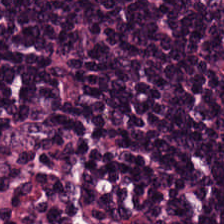FFPE tissue section · H&E.
The predominant tissue is lymphocytic infiltrate.
